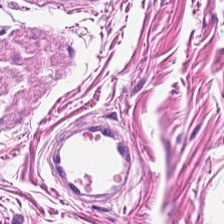The predominant tissue is smooth muscle.
